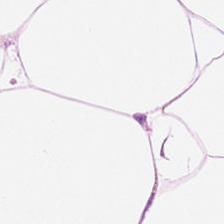Hematoxylin and eosin. FFPE tissue section.
Predominantly adipocytes.
